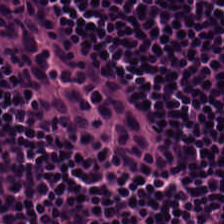224×224 pixel tile; hematoxylin and eosin; brightfield.
Q: What type of tissue is this?
A: Lymphocyte aggregate.
